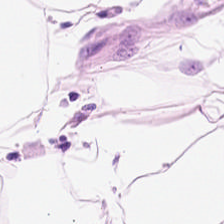Q: Classify this patch.
A: The field shows adipose.
